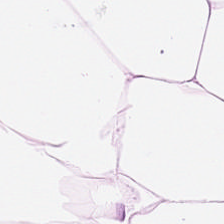H&E. Adipose.
